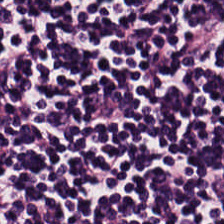0.5 µm per pixel · H&E stain.
Classification: lymphocytes.
